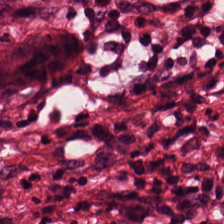Hematoxylin and eosin · 224×224 px tile. This field is tumor-associated stroma.
